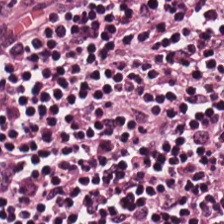H&E-stained tissue section; whole-slide-image patch; 0.5 microns per pixel. Q: Classify this patch.
A: It is lymphocytic infiltrate.
